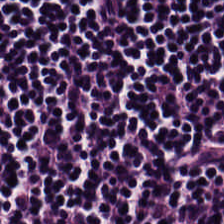H&E-stained tissue section — Tissue class: lymphocyte aggregate.
